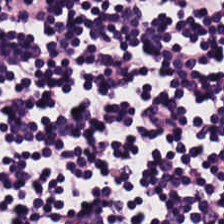This patch shows lymphocyte aggregate.
